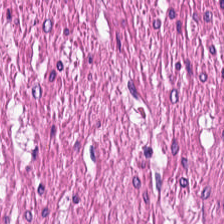Whole-slide-image patch · hematoxylin-and-eosin stained section · 224×224 px patch. Tissue: muscularis.
